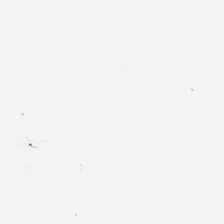Hematoxylin-and-eosin stained section. 20× equivalent magnification.
Classification — no tissue.
